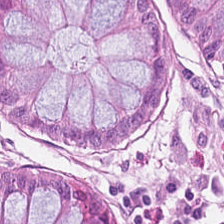Stain: H&E-stained tissue section.
Tissue: benign colonic mucosa.
